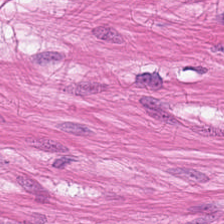{"tissue_type": "smooth muscle"}
